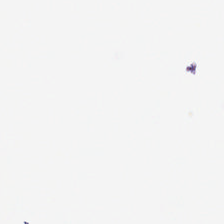Hematoxylin-and-eosin stained section. FFPE tissue section. 20× equivalent magnification.
Empty field — background.
